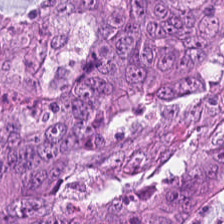Hematoxylin-and-eosin stained section. The tissue is tumor epithelium.
